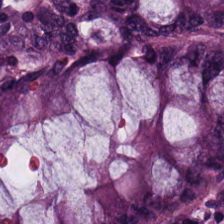Hematoxylin and eosin; WSI patch. This field is normal colon mucosa.
